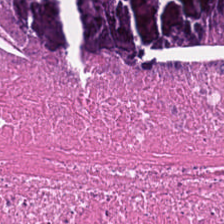Hematoxylin and eosin — Q: What is shown here?
A: It is cellular debris.
